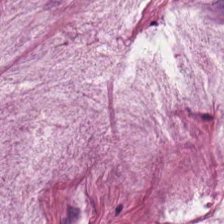Formalin-fixed paraffin-embedded section · 224×224 px tile · H&E stain.
Histology — mucus.
